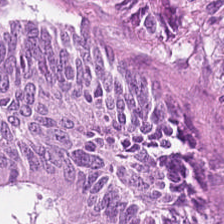H&E. Finding — tumor epithelium.
